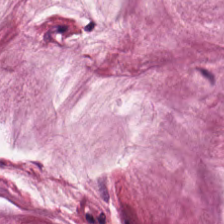Hematoxylin-and-eosin section: extracellular mucin.
